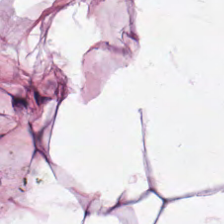Hematoxylin-and-eosin stained section · WSI patch · 0.5 µm/px — Q: What tissue is shown?
A: It is adipose.
